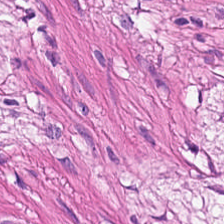Finding → smooth-muscle tissue.
